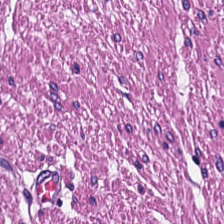Hematoxylin and eosin.
The tissue type is smooth-muscle tissue.
